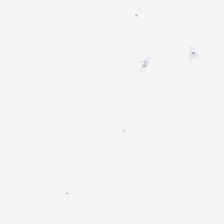Hematoxylin-and-eosin stained section. Impression — background (no tissue).
